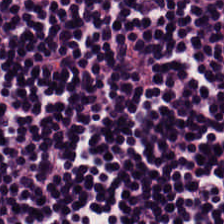Hematoxylin-and-eosin stained section — Tissue class = lymphocytes.
